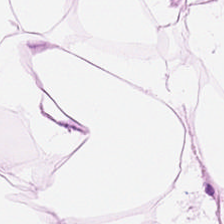Stain: H&E-stained tissue section.
Resolution: 0.5 µm/px.
Tissue class: adipocytes.
